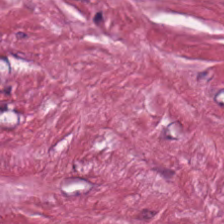Hematoxylin-and-eosin section: desmoplastic stroma.
